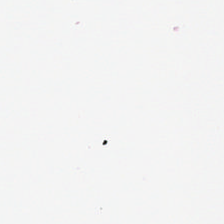Hematoxylin-and-eosin stained section — The field content is no tissue.
